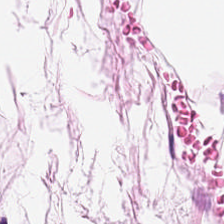Hematoxylin-and-eosin stained section — Predominant tissue = adipocytes.
